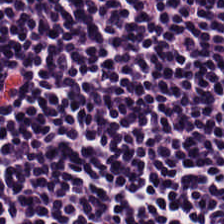Hematoxylin and eosin. Predominantly lymphoid infiltrate.
